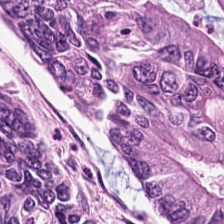Hematoxylin and eosin; WSI patch — The tissue here is malignant epithelium.
